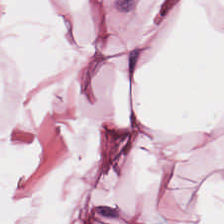Stain: hematoxylin and eosin.
Tissue type: fat tissue.
